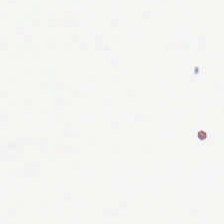H&E. {"content": "background"}
